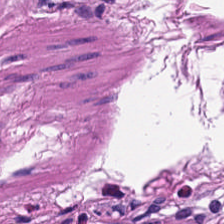Hematoxylin-and-eosin stained section. Histology — muscularis.
